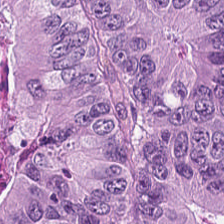Hematoxylin-and-eosin stained section · 0.5 µm per pixel — This patch shows malignant epithelium.
